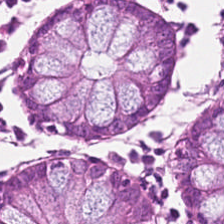Hematoxylin and eosin.
This field is non-neoplastic colon mucosa.
